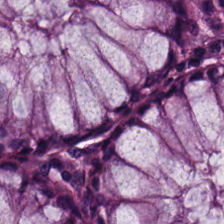H&E-stained section; the field shows normal colon mucosa.
